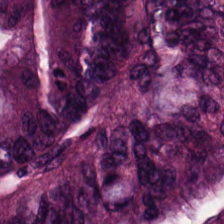Stain: H&E.
Resolution: 0.5 µm per pixel.
Tissue type: adenocarcinoma.
